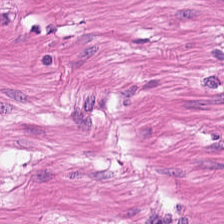Hematoxylin and eosin. Predominantly smooth-muscle tissue.
